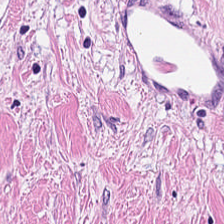0.5 µm per pixel · hematoxylin-and-eosin stained section — Tissue type: cancer-associated stroma.
